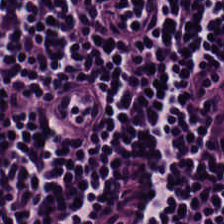Hematoxylin and eosin · FFPE · 0.5 µm per pixel. Tissue class: lymphoid infiltrate.
